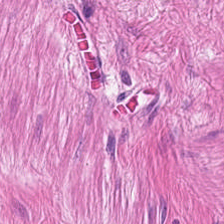Hematoxylin and eosin — {"tissue_type": "muscularis"}
